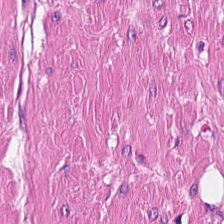Q: What type of tissue is this?
A: It is smooth muscle.
